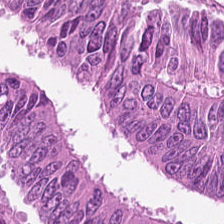H&E — Tissue class = malignant epithelium.
